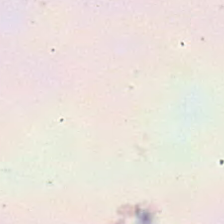The field content is empty background.
